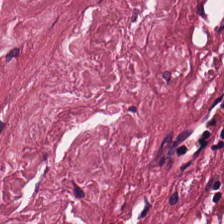224×224 px patch. WSI patch. H&E-stained tissue section.
{"tissue_type": "tumor stroma"}
